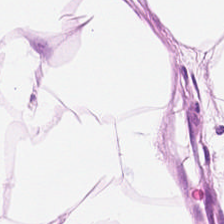Stain: hematoxylin and eosin.
Predominant tissue: adipose.
